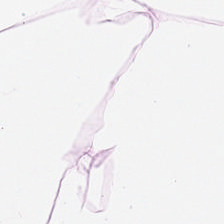H&E-stained tissue section — This patch shows fat tissue.
